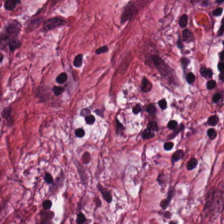H&E stain; FFPE — Tissue class — tumor-associated stroma.
